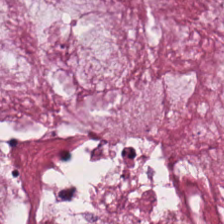H&E patch showing extracellular mucin.
